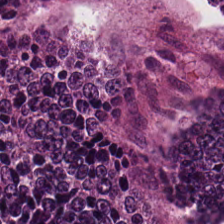Hematoxylin-and-eosin stained section.
Adenocarcinoma.
